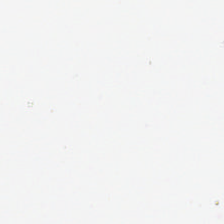H&E stain. This patch shows empty background.
